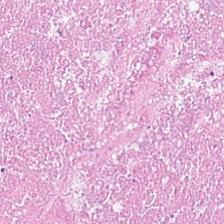Stain: H&E-stained tissue section.
Acquisition: whole-slide-image patch.
Tissue class: debris.
